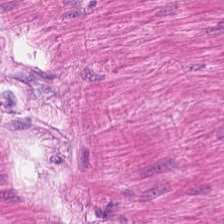H&E. Whole-slide-image patch. Formalin-fixed paraffin-embedded section.
Q: What tissue type is shown here?
A: This is muscularis.
